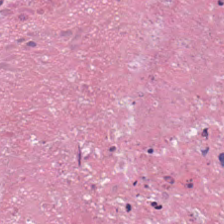FFPE · H&E stain — Q: What is the predominant tissue type?
A: This is debris.
